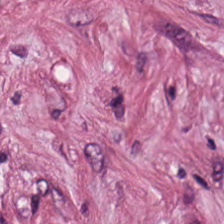Q: Identify the tissue.
A: The field shows tumor stroma.
